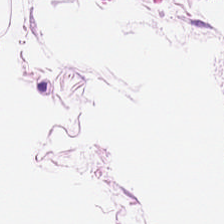H&E stain · FFPE tissue section. {"tissue_type": "adipose tissue"}
